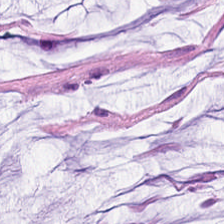Hematoxylin and eosin — {"tissue_type": "extracellular mucin"}
